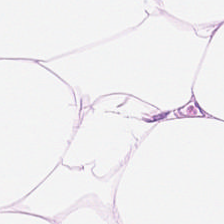20× equivalent magnification. H&E-stained tissue section.
Showing adipose tissue.
